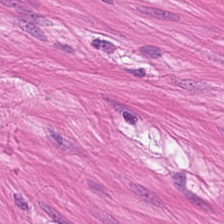H&E — The classification is smooth-muscle tissue.
